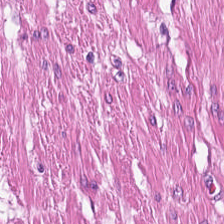Tissue — muscularis.
